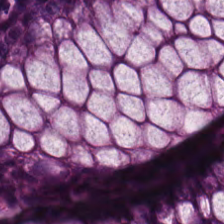Hematoxylin and eosin. Q: Classify this patch.
A: It is normal colon mucosa.
